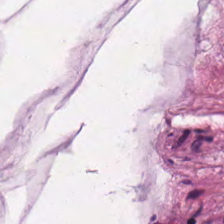Hematoxylin and eosin.
Impression → extracellular mucin.
